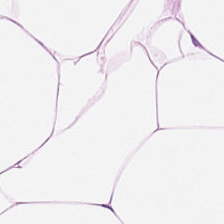Hematoxylin-and-eosin stained section.
Q: What tissue type is shown here?
A: Adipocytes.
